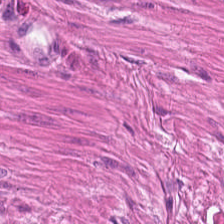H&E stain. 0.5 microns per pixel.
The classification is smooth-muscle tissue.
